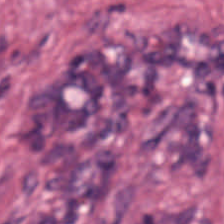H&E. FFPE.
The tissue here is desmoplastic stroma.
